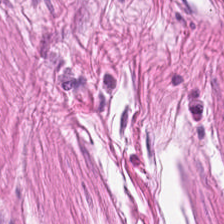Hematoxylin-and-eosin stained section. Formalin-fixed paraffin-embedded section — Q: Classify this patch.
A: The field shows muscularis.
